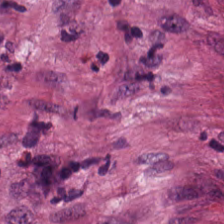H&E-stained tissue section · FFPE.
This patch shows tumor stroma.
